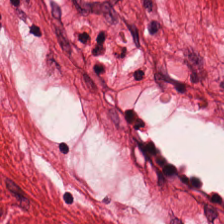FFPE tissue section. Hematoxylin-and-eosin stained section. Tissue class = smooth muscle.
